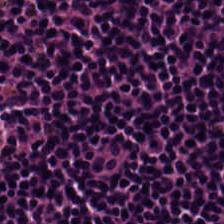20× equivalent magnification · 224×224 px patch · H&E. The tissue class is lymphoid infiltrate.
